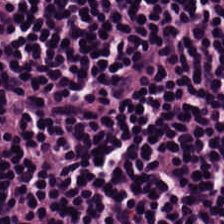0.5 µm per pixel · H&E stain.
The predominant tissue is lymphocytic infiltrate.
